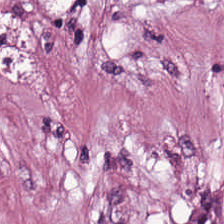Classification — tumor stroma.
